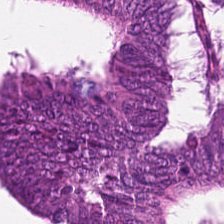H&E-stained tissue section.
The predominant tissue is colorectal adenocarcinoma epithelium.
